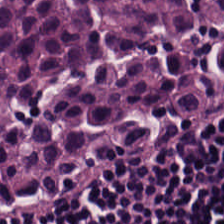H&E-stained tissue section; 224×224 pixel tile. Q: What is the predominant tissue type?
A: Lymphocytes.
